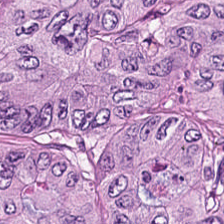224×224 px tile; H&E; formalin-fixed paraffin-embedded section.
Histology → colorectal adenocarcinoma epithelium.
